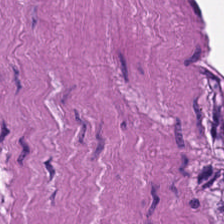H&E. Whole-slide-image patch. 224×224 pixel tile — Q: Classify this patch.
A: It is smooth muscle.
